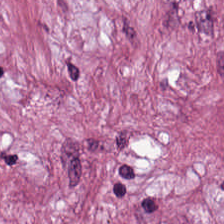H&E-stained tissue section. Brightfield.
Predominant tissue — tumor-associated stroma.
